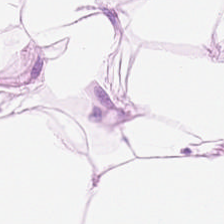Hematoxylin and eosin; 224×224 px tile. Predominantly fat tissue.
